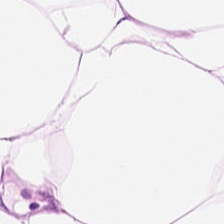Q: What tissue is shown?
A: Adipose tissue.
